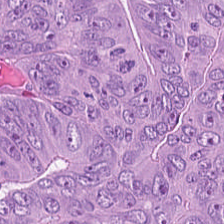224×224 px patch; whole-slide-image patch; hematoxylin-and-eosin stained section. Histology — colorectal adenocarcinoma.
